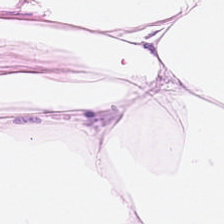224×224 px tile · H&E — This field is fat tissue.
